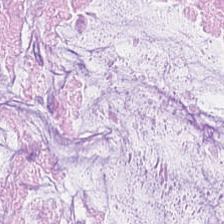Tissue — mucus.
